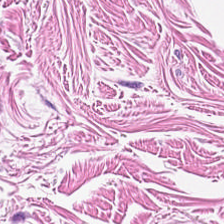Formalin-fixed paraffin-embedded section. H&E stain. Brightfield microscopy. Q: What tissue type is shown here?
A: Smooth-muscle tissue.
